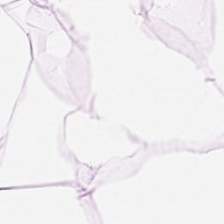H&E.
Q: Identify the tissue.
A: This is adipose.
